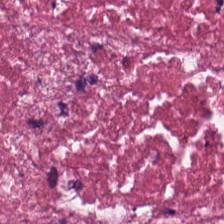H&E-stained tissue section — Predominant tissue = cellular debris.
